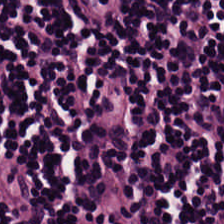Hematoxylin-and-eosin stained section — Q: What is the predominant tissue type?
A: Lymphoid infiltrate.
